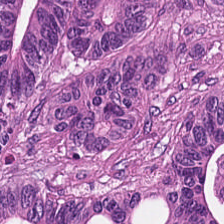224×224 px patch. H&E-stained tissue section. Histology — colorectal adenocarcinoma.
